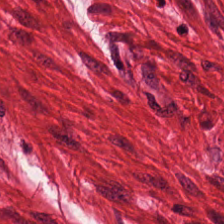H&E-stained tissue section — Tissue type: muscularis.
